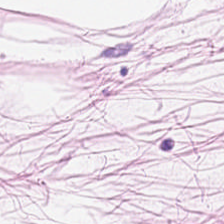H&E-stained tissue section.
Q: What tissue type is shown here?
A: Adipose.
